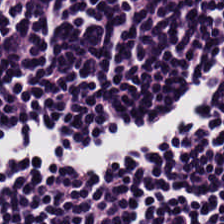Lymphocytic infiltrate.
